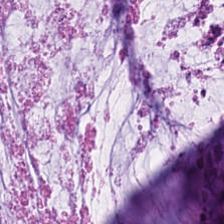Q: What tissue is shown?
A: This is mucin.
